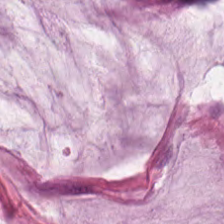Hematoxylin-and-eosin stained section — Classification: extracellular mucin.
